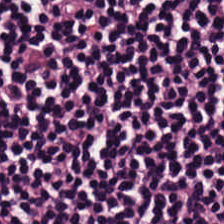Q: Identify the tissue.
A: It is lymphocytic infiltrate.
